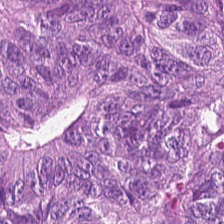H&E. 224×224 px patch. Classification = malignant epithelium.
